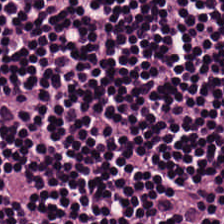0.5 µm/px. Hematoxylin-and-eosin stained section — Showing lymphocyte aggregate.
